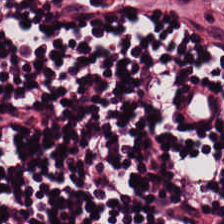Stain: H&E.
Tissue type: lymphocytes.
